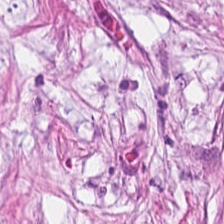H&E stain · 224×224 px patch · formalin-fixed paraffin-embedded section.
{"tissue_type": "tumor stroma"}
